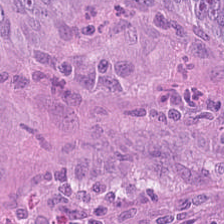Q: What type of tissue is this?
A: It is colorectal adenocarcinoma epithelium.
